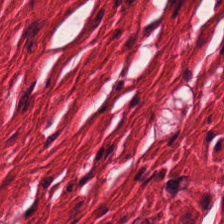224×224 px patch · hematoxylin-and-eosin stained section. Tissue type — smooth-muscle tissue.
